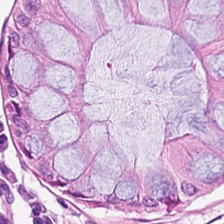Stain: H&E.
Tissue type: non-neoplastic colon mucosa.
